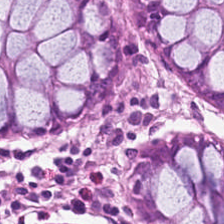H&E — Histology — normal colonic mucosa.
